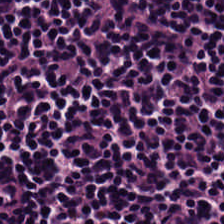H&E stain. {"tissue_type": "lymphocyte aggregate"}
